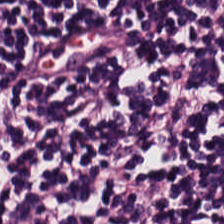FFPE tissue section · hematoxylin-and-eosin stained section.
Q: What tissue type is shown here?
A: This is lymphoid infiltrate.
